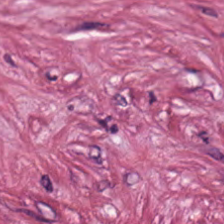H&E stain.
Q: What type of tissue is this?
A: Tumor stroma.
